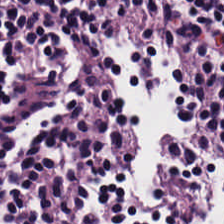H&E stain.
Tissue type — lymphocyte aggregate.
